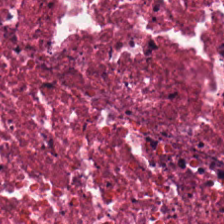H&E-stained tissue section showing necrotic debris.
